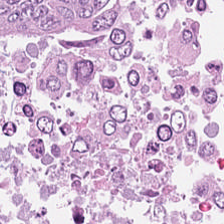224×224 pixel tile · hematoxylin-and-eosin stained section.
The tissue class is malignant epithelium.
